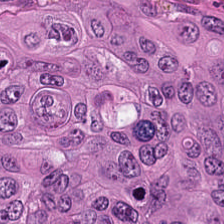H&E; FFPE tissue section. {"tissue_type": "adenocarcinoma"}
